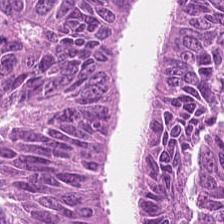Hematoxylin-and-eosin stained section. Histology — colorectal adenocarcinoma epithelium.
